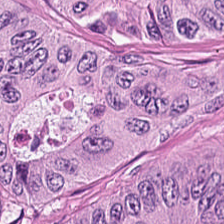WSI patch; H&E. The predominant tissue is malignant epithelium.
